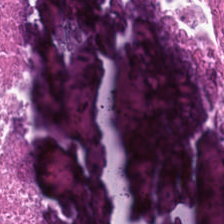Predominant tissue = necrotic debris.
